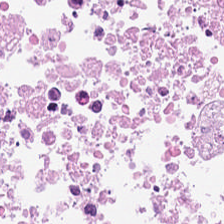Debris.
